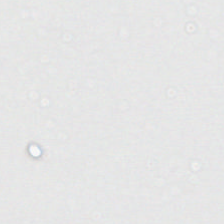Histology — background (no tissue).
